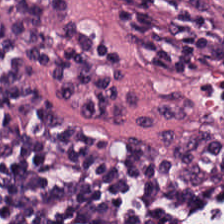H&E-stained tissue section; 224×224 px tile; 0.5 µm/px. Finding — lymphoid infiltrate.
